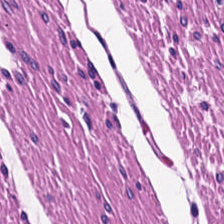FFPE. Hematoxylin-and-eosin stained section. 0.5 µm per pixel. Smooth-muscle tissue.
